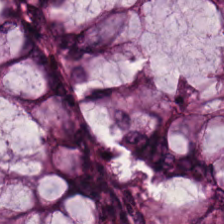Predominant tissue = non-neoplastic colon mucosa.
